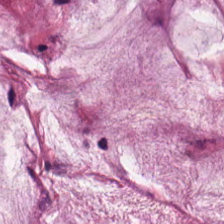Hematoxylin and eosin.
Q: What is the predominant tissue type?
A: It is mucus.
